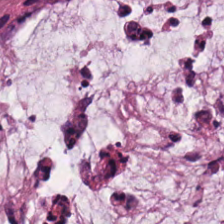Stain: hematoxylin-and-eosin stained section.
Tile size: 224×224 px tile.
Classification: extracellular mucin.
